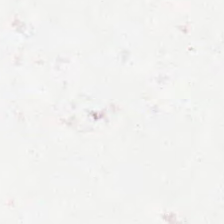Stain: H&E.
Field content: background.
